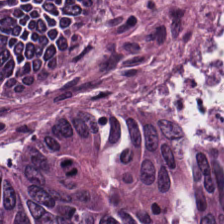H&E — Colorectal adenocarcinoma.
